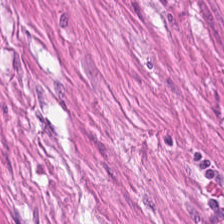Hematoxylin-and-eosin stained section.
{"tissue_type": "smooth-muscle tissue"}
